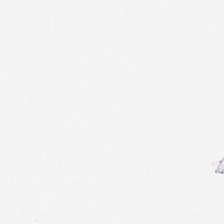Hematoxylin-and-eosin stained section · 224×224 px patch · brightfield microscopy. Field content: background.
